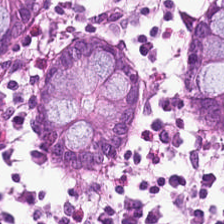20× equivalent magnification; whole-slide-image patch; H&E stain — Classification = benign colonic mucosa.
